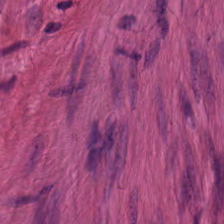Hematoxylin and eosin.
Tissue class — muscularis.
